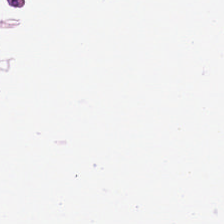Stain: H&E.
Tile size: 224×224 px patch.
Tissue class: fat tissue.
